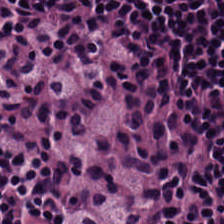Stain: H&E-stained tissue section.
Resolution: 0.5 µm per pixel.
Classification: lymphocytes.
